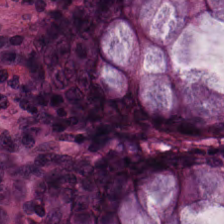H&E — Impression — benign colonic mucosa.
